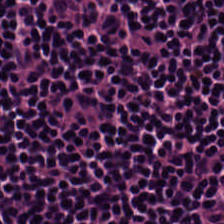The tissue class is lymphocyte aggregate.
